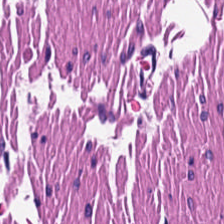H&E-stained tissue section. Muscularis.
